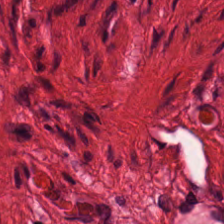224×224 px patch; 20× equivalent magnification; hematoxylin and eosin — Tissue type — muscularis.
